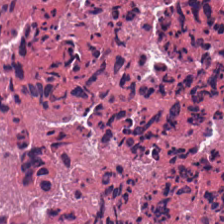H&E stain. {"tissue_type": "debris"}
